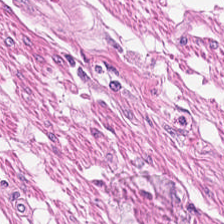Impression → muscularis.
